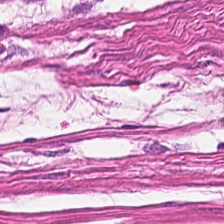224×224 pixel tile. FFPE tissue section. H&E stain — Finding → smooth-muscle tissue.
